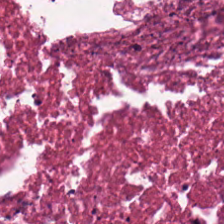H&E stain — Showing debris.
